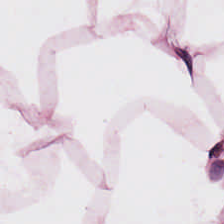Tissue type — adipocytes.
